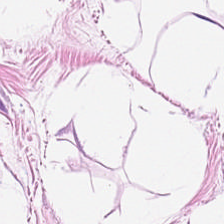FFPE; hematoxylin and eosin.
Finding → fat tissue.
